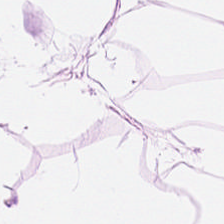H&E. Brightfield microscopy — The predominant tissue is adipocytes.
